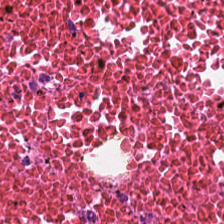Stain: H&E-stained tissue section.
Resolution: 0.5 microns per pixel.
Predominant tissue: cellular debris.
